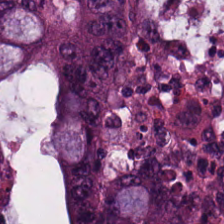Hematoxylin and eosin. The predominant tissue is malignant epithelium.
